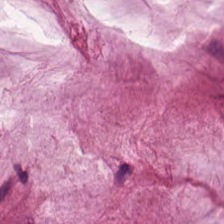Hematoxylin and eosin. Q: What is shown here?
A: It is extracellular mucin.
